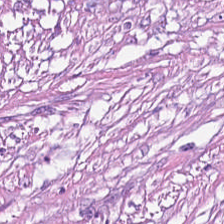Q: What is shown in this field?
A: The field shows cancer-associated stroma.
